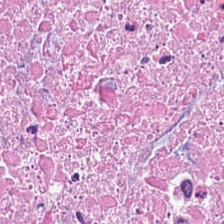H&E · FFPE tissue section.
Q: What is the predominant tissue type?
A: It is debris.
